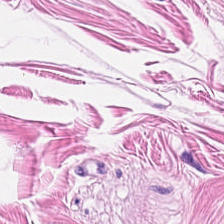FFPE tissue section. Hematoxylin and eosin — This field is smooth muscle.
